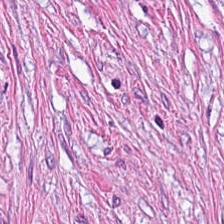Hematoxylin-and-eosin stained section.
This field is tumor-associated stroma.
